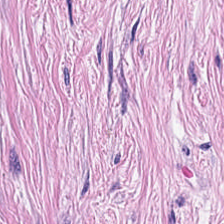Brightfield microscopy; formalin-fixed paraffin-embedded section; H&E stain — Tissue class: cancer-associated stroma.
